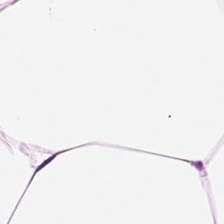224×224 px patch · hematoxylin-and-eosin stained section · brightfield. This patch shows fat tissue.
